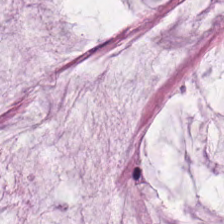H&E — extracellular mucin.
